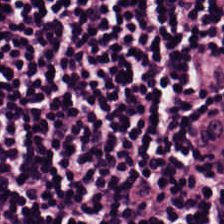The tissue class is lymphocytic infiltrate.
